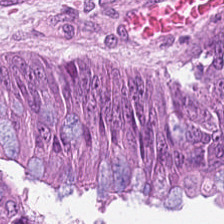H&E stain. Formalin-fixed paraffin-embedded section. WSI patch. Classification = malignant epithelium.
